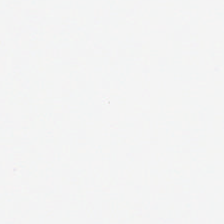This patch shows background.
